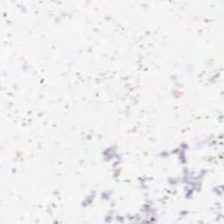Background — no tissue in this field.
